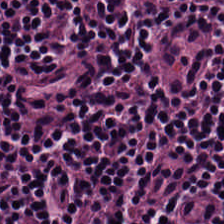H&E stain. This patch shows lymphocytes.
